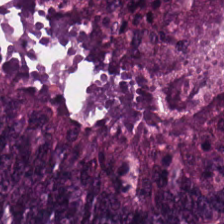H&E stain — Tissue type = colorectal adenocarcinoma.
